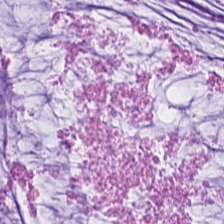H&E-stained section; the field shows mucin.
